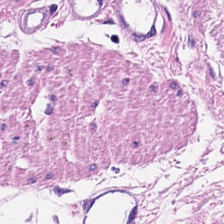Formalin-fixed paraffin-embedded section. 0.5 µm per pixel. Hematoxylin and eosin.
Histology → smooth muscle.
